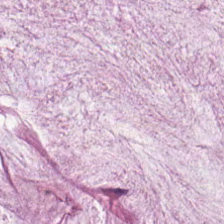Hematoxylin-and-eosin stained section. Classification — extracellular mucin.
